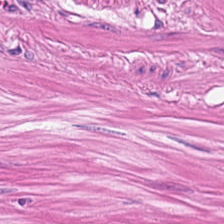224×224 pixel tile · 0.5 microns per pixel · H&E stain — Q: What is the predominant tissue type?
A: The field shows muscularis.
